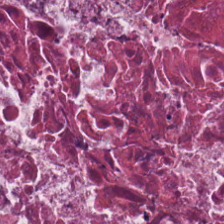H&E-stained tissue section; FFPE tissue section; 224×224 px patch. Q: Classify this patch.
A: Debris.
